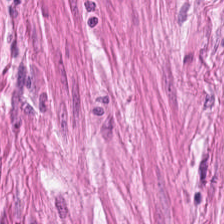H&E — smooth-muscle tissue.
